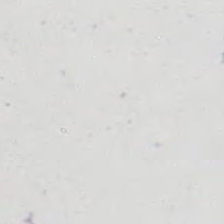Impression → empty background.
